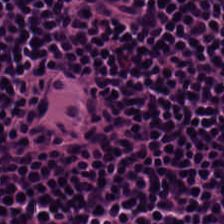Lymphocytes.
